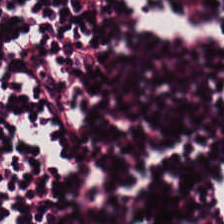Stain: H&E.
Tile size: 224×224 px tile.
Tissue class: lymphocyte aggregate.
